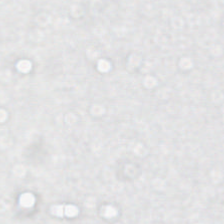0.5 µm per pixel · H&E stain. This field is background (no tissue).
